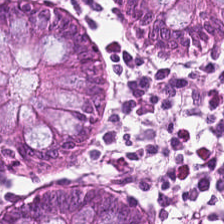Brightfield; hematoxylin-and-eosin stained section.
The tissue class is benign colonic mucosa.
